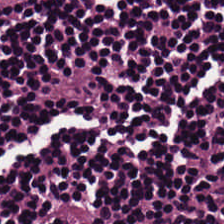Stain: hematoxylin and eosin.
Tile size: 224×224 pixel tile.
Predominant tissue: lymphocyte aggregate.
